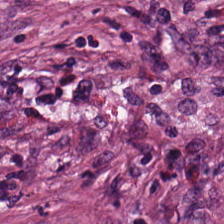FFPE · brightfield · hematoxylin-and-eosin stained section — Predominantly cancer-associated stroma.
